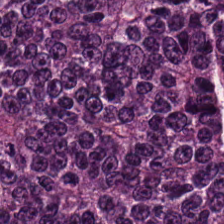H&E stain. Whole-slide-image patch.
This field is adenocarcinoma.
